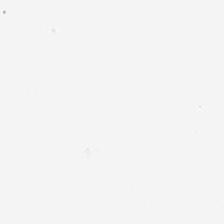{"content": "no tissue"}
